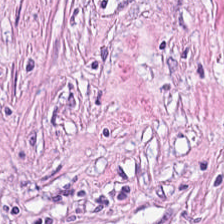224×224 px patch. H&E-stained tissue section — Tumor-associated stroma.
